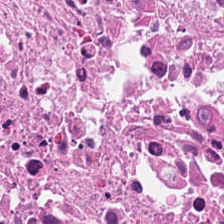Hematoxylin and eosin · whole-slide-image patch · FFPE tissue section. The predominant tissue is debris.
